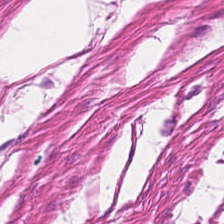H&E-stained tissue section. Q: What type of tissue is this?
A: The field shows muscularis.
